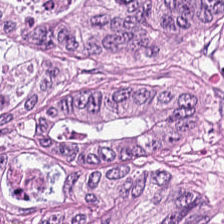Predominant tissue: tumor epithelium.
